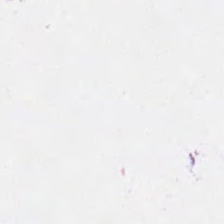224×224 pixel tile; H&E-stained tissue section; FFPE — Histology — background (no tissue).
